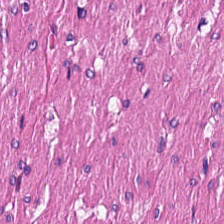H&E stain. 224×224 pixel tile — {"tissue_type": "muscularis"}
